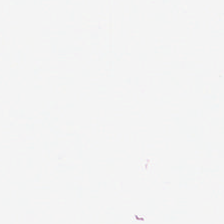{"content": "empty background"}
